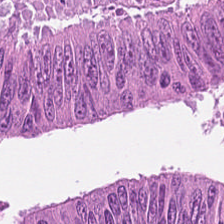Hematoxylin and eosin; 0.5 µm per pixel — Tissue type: tumor epithelium.
